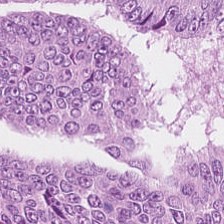H&E · 224×224 pixel tile. Tissue type — malignant epithelium.
